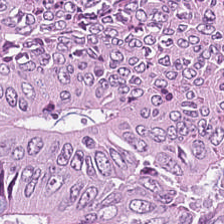H&E stain — Q: What is the predominant tissue type?
A: This is colorectal adenocarcinoma epithelium.
